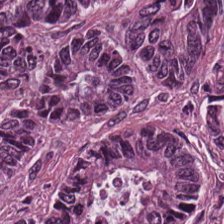Classification — adenocarcinoma.
